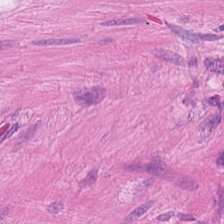Q: What tissue type is shown here?
A: Muscularis.
